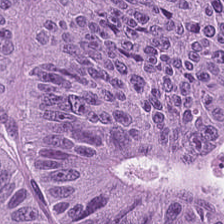H&E stain; WSI patch; 224×224 px patch — Tumor epithelium.
